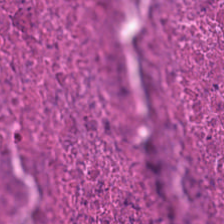H&E — Q: Identify the tissue.
A: It is necrotic debris.
